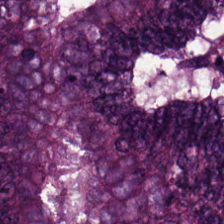Hematoxylin and eosin. FFPE.
Tissue class = adenocarcinoma.
